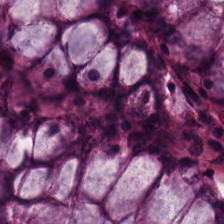Stain: hematoxylin and eosin.
Preparation: FFPE tissue section.
Classification: normal colonic mucosa.
